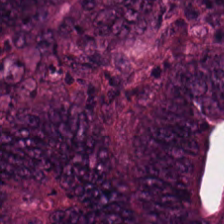Stain: hematoxylin-and-eosin stained section.
Preparation: FFPE.
Tissue class: colorectal adenocarcinoma epithelium.
